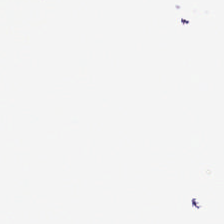Hematoxylin-and-eosin stained section. WSI patch. 224×224 px patch. This patch shows no tissue.
